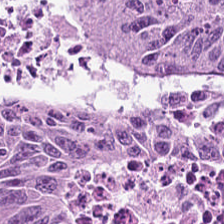H&E. Predominantly tumor epithelium.
